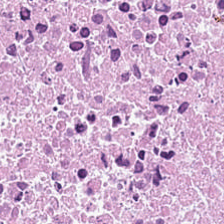H&E; 0.5 microns per pixel.
Impression → cellular debris.
